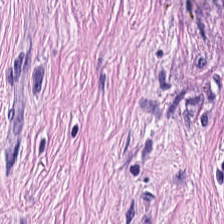Hematoxylin and eosin — The tissue here is cancer-associated stroma.
